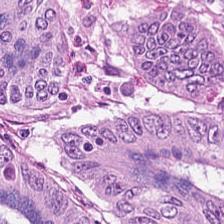H&E.
Tissue class = colorectal adenocarcinoma.
